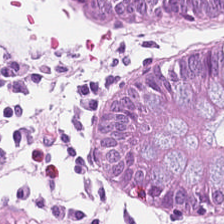Brightfield microscopy. H&E. 0.5 µm per pixel. The tissue here is normal colon mucosa.
